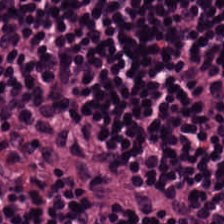{"tissue_type": "lymphocytic infiltrate"}
